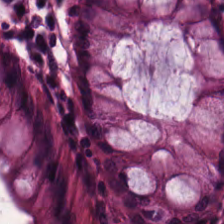224×224 px patch; H&E stain; formalin-fixed paraffin-embedded section. The predominant tissue is benign colonic mucosa.
